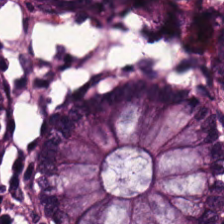H&E. Normal colonic mucosa.
